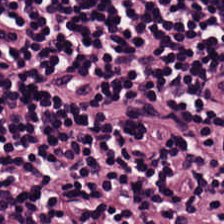Hematoxylin and eosin.
Lymphocyte aggregate.
